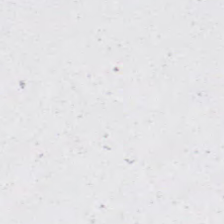Background — no tissue in this field.
